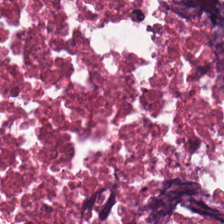Hematoxylin and eosin — Finding → cellular debris.
